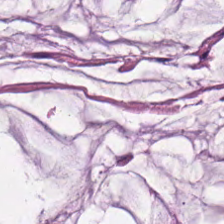Hematoxylin and eosin — Predominant tissue — extracellular mucin.
